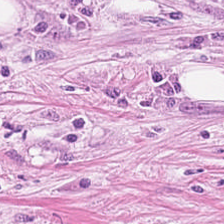Hematoxylin and eosin; 224×224 px patch — Q: What is shown here?
A: This is cancer-associated stroma.
